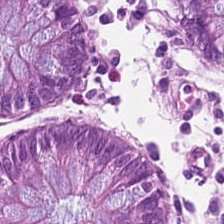Showing normal colonic mucosa.
